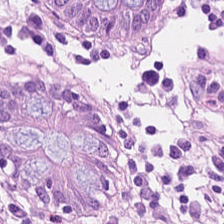H&E stain. Tissue type — normal colonic mucosa.
